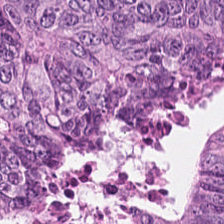H&E-stained tissue section · brightfield microscopy · 0.5 microns per pixel.
Q: What tissue type is shown here?
A: It is colorectal adenocarcinoma.
